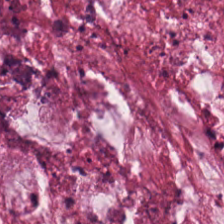H&E-stained tissue section.
{"tissue_type": "extracellular mucin"}
